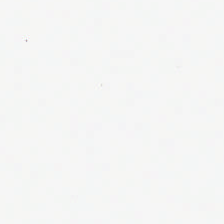The field content is background.
